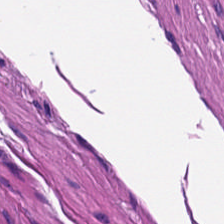Hematoxylin-and-eosin stained section. Q: What is shown in this field?
A: The field shows smooth-muscle tissue.
